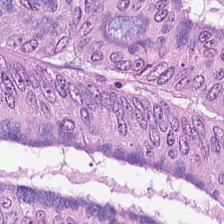H&E-stained tissue section. 224×224 px tile — Q: What does this patch show?
A: The field shows malignant epithelium.
